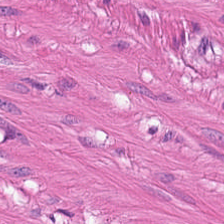0.5 µm per pixel. Hematoxylin-and-eosin stained section. The tissue type is smooth-muscle tissue.
